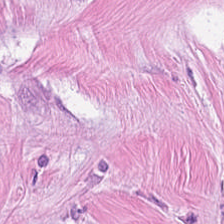This field is tumor-associated stroma.
